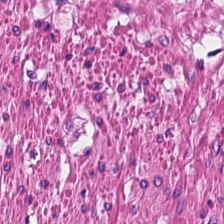Tissue class: smooth-muscle tissue.
